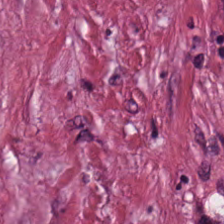Hematoxylin-and-eosin stained section — Tissue class — tumor stroma.
